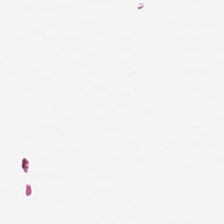Stain: hematoxylin-and-eosin stained section.
Resolution: 0.5 microns per pixel.
Tile size: 224×224 px patch.
Content: empty background.
